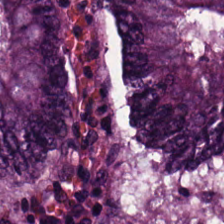H&E stain — Classification = malignant epithelium.
